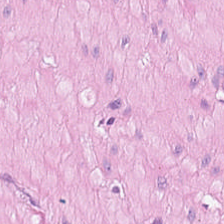Hematoxylin-and-eosin stained section.
This patch shows smooth-muscle tissue.
